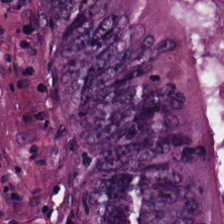H&E stain.
Q: What is shown here?
A: Adenocarcinoma.
